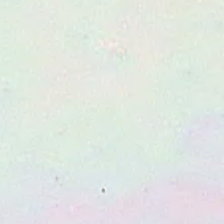Hematoxylin-and-eosin stained section; whole-slide-image patch; 224×224 px tile.
Background — no tissue in this field.
